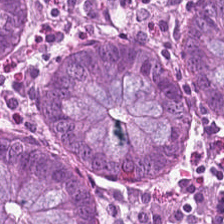Brightfield microscopy; FFPE; H&E — Tissue type — normal colon mucosa.
